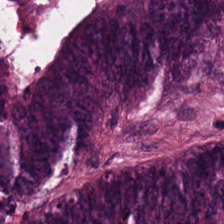Q: Classify this patch.
A: This is colorectal adenocarcinoma.
